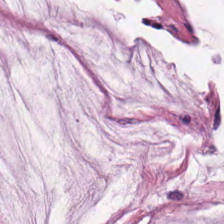Whole-slide-image patch · formalin-fixed paraffin-embedded section · H&E stain.
Classification = mucus.
